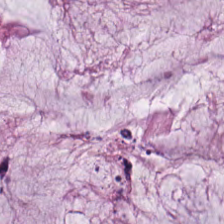Hematoxylin-and-eosin stained section; 224×224 px tile; whole-slide-image patch — Mucin.
